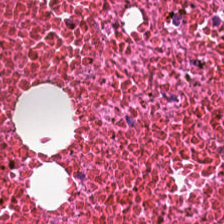H&E.
{"tissue_type": "debris"}
